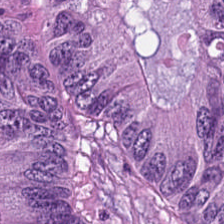Hematoxylin-and-eosin stained section — Showing adenocarcinoma.
